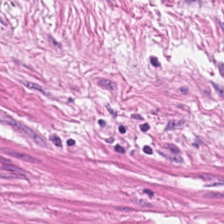H&E-stained tissue section. Smooth muscle.
